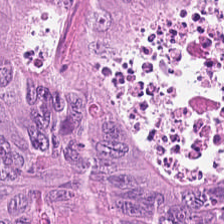Classification — colorectal adenocarcinoma.
